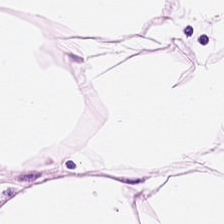H&E-stained tissue section — The predominant tissue is adipose.
